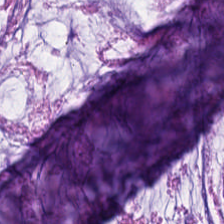224×224 px patch; H&E-stained tissue section.
This patch shows mucus.
